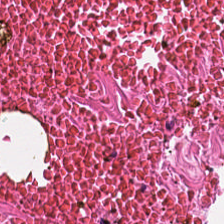Showing debris.
